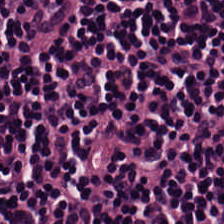Stain: H&E stain.
Tile size: 224×224 px patch.
Tissue type: lymphoid infiltrate.
